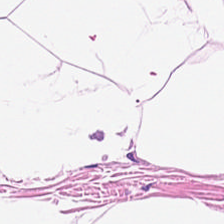H&E.
This field is adipocytes.
